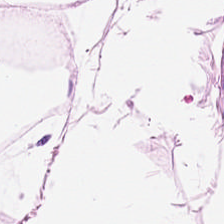Hematoxylin-and-eosin stained section. Histology — adipocytes.
